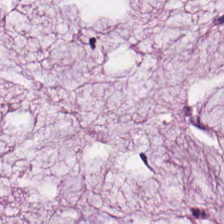Tissue class: mucus.
